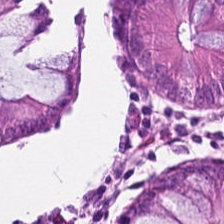Hematoxylin-and-eosin stained section; 20× equivalent magnification.
Tissue class: benign colonic mucosa.
